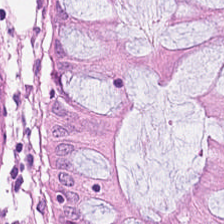H&E-stained tissue section — The tissue here is non-neoplastic colon mucosa.
